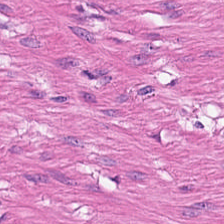20× equivalent magnification. H&E-stained tissue section. FFPE. The tissue here is muscularis.
